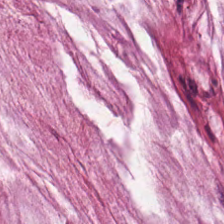Stain: hematoxylin-and-eosin stained section.
Tissue: extracellular mucin.
